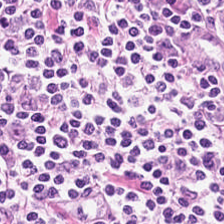H&E-stained tissue section. Impression — lymphocytes.
